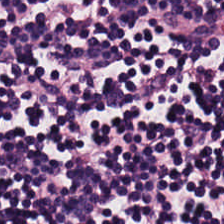Stain: H&E stain.
Tile size: 224×224 px tile.
Tissue: lymphocytes.
